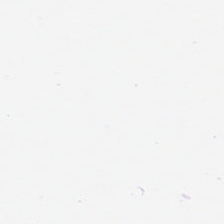Hematoxylin and eosin. 0.5 µm/px. Brightfield.
Predominantly fat tissue.
